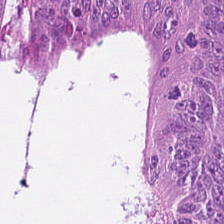H&E — Histology — colorectal adenocarcinoma.
